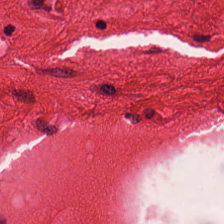Brightfield; H&E stain.
Tissue class — smooth muscle.
